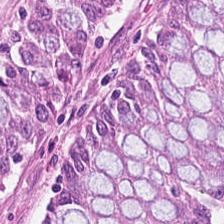The classification is normal colonic mucosa.
